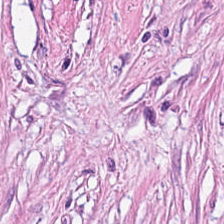Hematoxylin-and-eosin stained section; whole-slide-image patch — The tissue is tumor stroma.
